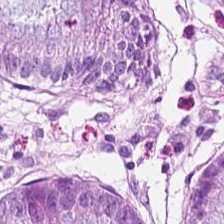20× equivalent magnification · H&E. The tissue here is non-neoplastic colon mucosa.
